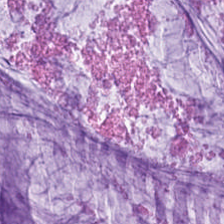H&E-stained tissue section; 224×224 px patch.
Q: What does this patch show?
A: This is mucin.
